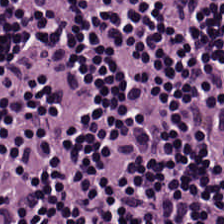Tissue type — lymphocytic infiltrate.
